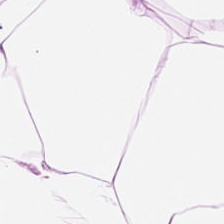H&E.
Finding — adipose.
